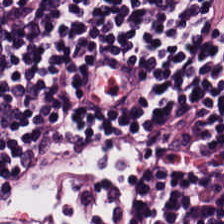Whole-slide-image patch; hematoxylin and eosin.
Finding → lymphocytic infiltrate.
